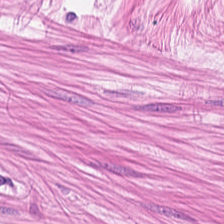Tissue class: muscularis.
